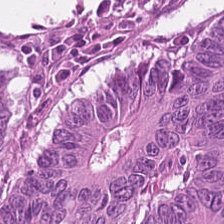Tissue type: adenocarcinoma.
